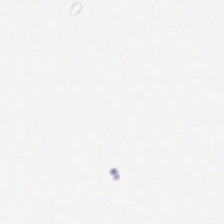H&E stain. The classification is background (no tissue).
